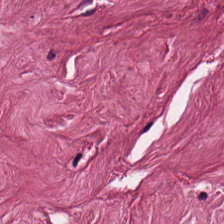Predominant tissue — tumor stroma.
